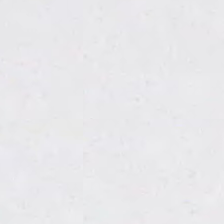Brightfield · FFPE tissue section · H&E-stained tissue section. This field is background (no tissue).
